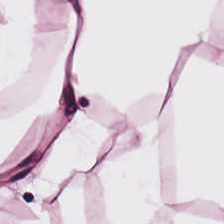FFPE; 224×224 px tile; hematoxylin-and-eosin stained section — This patch shows adipocytes.
